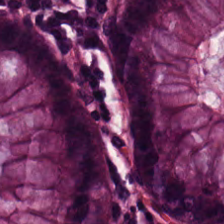Stain: H&E.
Tissue: benign colonic mucosa.
